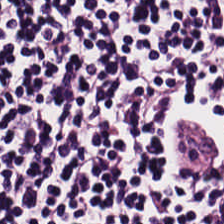Impression — lymphocyte aggregate.
